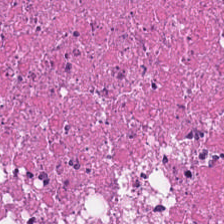FFPE; H&E-stained tissue section — {"tissue_type": "necrotic debris"}
